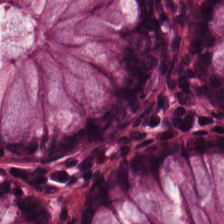Formalin-fixed paraffin-embedded section. 224×224 px tile. H&E-stained tissue section — Showing non-neoplastic colon mucosa.
